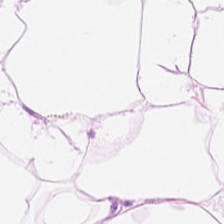Q: What tissue is shown?
A: It is adipocytes.
